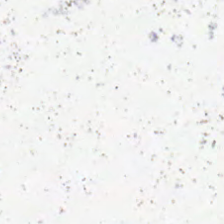H&E-stained tissue section. FFPE. Brightfield.
Empty field — no tissue.
